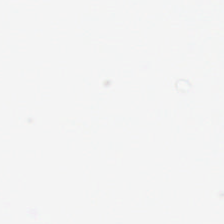H&E stain. FFPE.
Content — no tissue.
